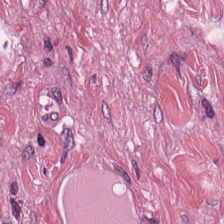Hematoxylin and eosin; 224×224 px tile. The tissue type is tumor-associated stroma.
